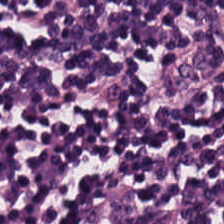H&E-stained tissue section; FFPE — The predominant tissue is lymphocytic infiltrate.
